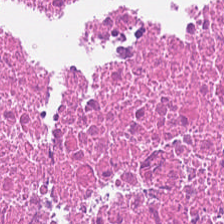224×224 px tile. H&E stain.
Debris.
